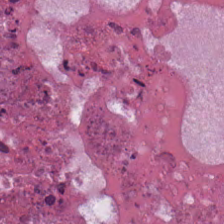H&E — {"tissue_type": "cellular debris"}
